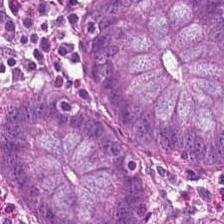H&E · whole-slide-image patch — The predominant tissue is normal colonic mucosa.
